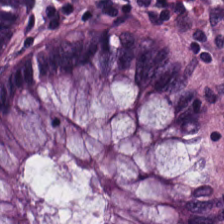0.5 µm/px · hematoxylin and eosin · WSI patch — Q: Classify this patch.
A: The field shows non-neoplastic colon mucosa.
